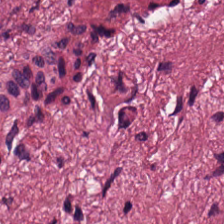Hematoxylin and eosin — Showing tumor-associated stroma.
